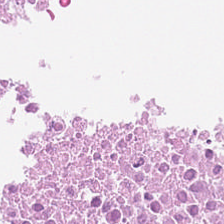Tissue class = necrotic debris.
